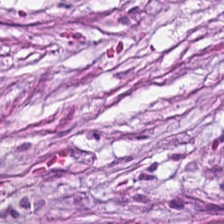Q: Classify this patch.
A: This is cancer-associated stroma.
